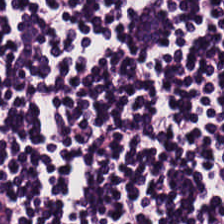224×224 pixel tile · hematoxylin-and-eosin stained section. Q: What is shown in this field?
A: The field shows lymphocytes.
